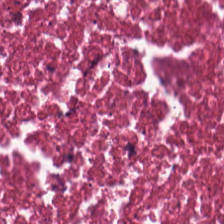This patch shows necrotic debris.
